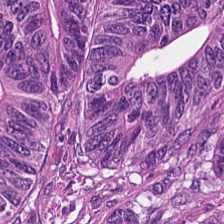The classification is adenocarcinoma.
